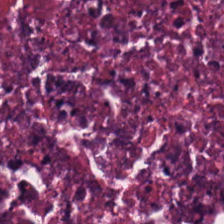H&E — The tissue here is cellular debris.
